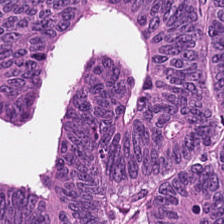Hematoxylin and eosin.
Classification: malignant epithelium.
